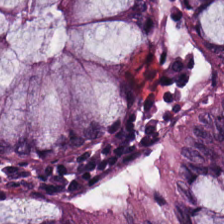224×224 pixel tile. Hematoxylin-and-eosin stained section — Normal colonic mucosa.
